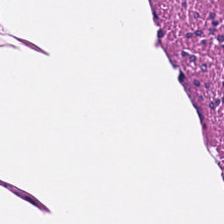224×224 px patch. H&E stain. 20× equivalent magnification. This patch shows smooth muscle.
